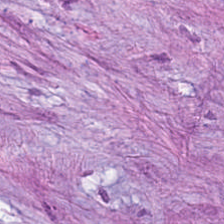Stain: H&E.
Predominant tissue: tumor stroma.
